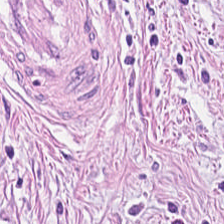H&E-stained tissue section.
Desmoplastic stroma.
